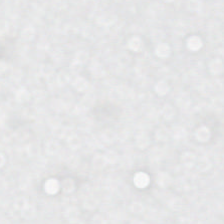H&E stain — Q: What is shown in this field?
A: The field shows empty background.
